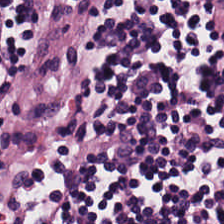H&E-stained tissue section. 224×224 px patch. Tissue — lymphoid infiltrate.
